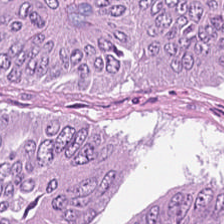Stain: H&E stain.
Predominant tissue: malignant epithelium.
